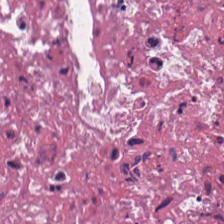H&E-stained tissue section. Histology → necrotic debris.
